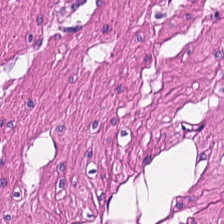H&E — smooth-muscle tissue.
